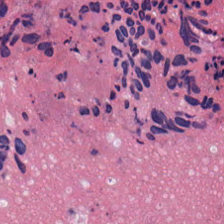Stain: H&E.
Preparation: FFPE.
Acquisition: whole-slide-image patch.
Tissue class: necrotic debris.
